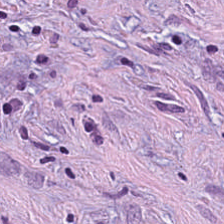0.5 µm per pixel · hematoxylin and eosin.
Tissue type: tumor stroma.
